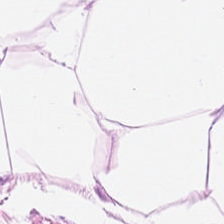Hematoxylin-and-eosin stained section — This field is fat tissue.
